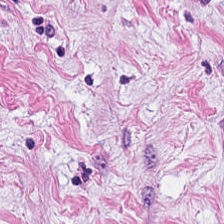FFPE · 0.5 µm/px · hematoxylin and eosin.
The predominant tissue is cancer-associated stroma.
